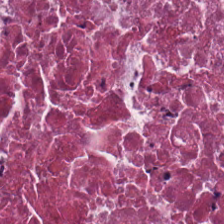Hematoxylin and eosin — Tissue type: cellular debris.
